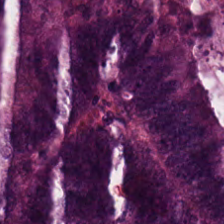224×224 px patch; H&E stain; brightfield.
The tissue is malignant epithelium.
